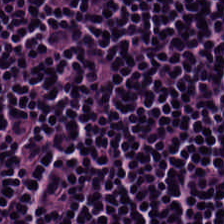H&E.
Predominant tissue: lymphocytic infiltrate.
